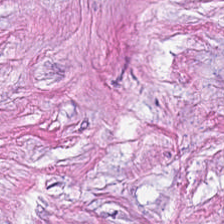Hematoxylin-and-eosin stained section; 224×224 px tile; 0.5 µm per pixel.
The predominant tissue is desmoplastic stroma.
